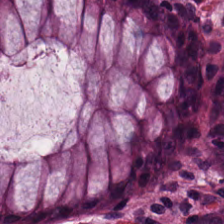Tissue type — normal colonic mucosa.
